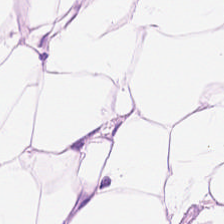0.5 microns per pixel · H&E stain — This patch shows adipose tissue.
